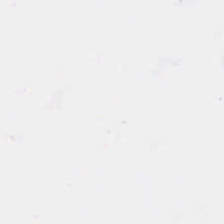Hematoxylin-and-eosin stained section. Formalin-fixed paraffin-embedded section. Brightfield microscopy. This patch shows empty background.
